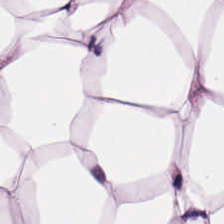{"tissue_type": "adipose tissue"}
